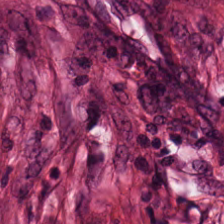224×224 pixel tile. Hematoxylin and eosin. 0.5 microns per pixel. The classification is desmoplastic stroma.
